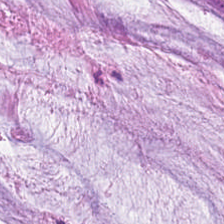H&E stain.
Q: Identify the tissue.
A: The field shows mucus.
